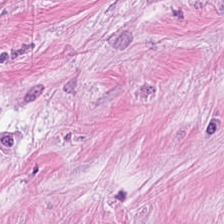Hematoxylin-and-eosin stained section — {"tissue_type": "tumor-associated stroma"}
